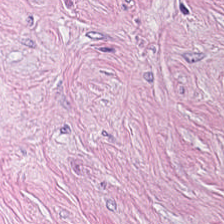Hematoxylin-and-eosin stained section; formalin-fixed paraffin-embedded section — Q: What tissue is shown?
A: This is tumor-associated stroma.
